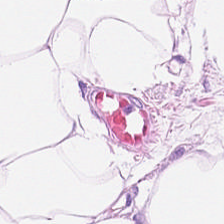Formalin-fixed paraffin-embedded section; H&E stain — Adipose.
